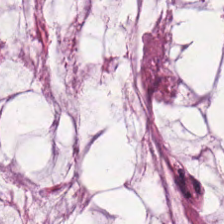Tissue type — mucus.
